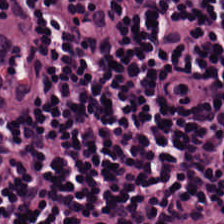Stain: H&E.
Tissue class: lymphoid infiltrate.
